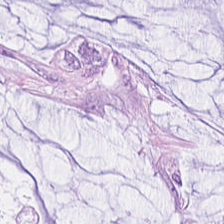Hematoxylin and eosin. 224×224 pixel tile.
Showing extracellular mucin.
